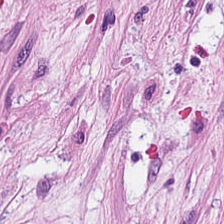Stain: hematoxylin and eosin.
Tissue: desmoplastic stroma.
